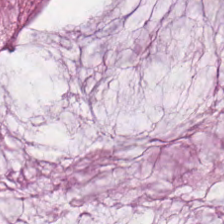0.5 microns per pixel · H&E-stained tissue section.
Finding → mucus.
